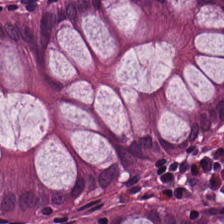FFPE tissue section · H&E-stained tissue section.
Predominantly non-neoplastic colon mucosa.
